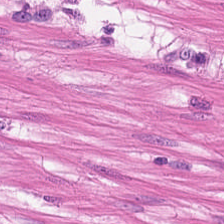H&E; 0.5 µm/px. The tissue here is muscularis.
